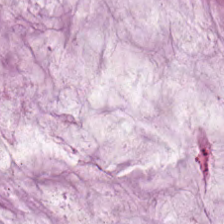H&E-stained tissue section · FFPE.
The tissue here is mucus.
